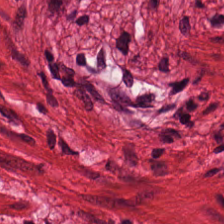H&E stain; 224×224 px tile — {"tissue_type": "smooth muscle"}
